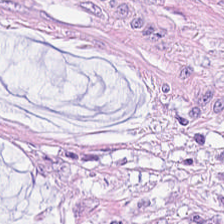Tissue class = mucus.
